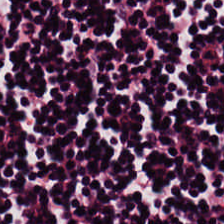Formalin-fixed paraffin-embedded section · hematoxylin-and-eosin stained section. Tissue class — lymphoid infiltrate.
